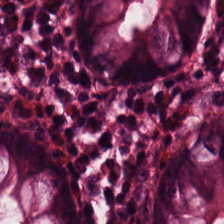H&E-stained tissue section · 0.5 µm/px — Impression — normal colon mucosa.
